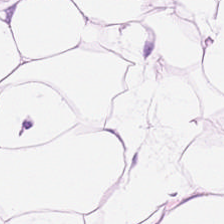Hematoxylin-and-eosin stained section — The tissue here is adipose.
